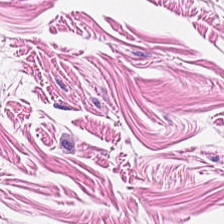H&E. Predominantly muscularis.
